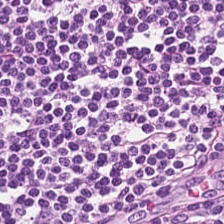H&E stain · FFPE tissue section.
Finding — lymphocytic infiltrate.
